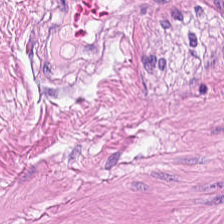Hematoxylin-and-eosin stained section.
The tissue is smooth muscle.
